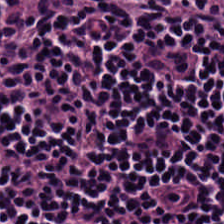Hematoxylin and eosin — Tissue class — lymphocytes.
